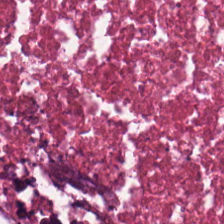224×224 px tile. H&E stain. FFPE. Cellular debris.
